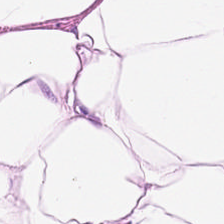Hematoxylin and eosin; FFPE tissue section; 0.5 µm per pixel. Tissue — adipocytes.
